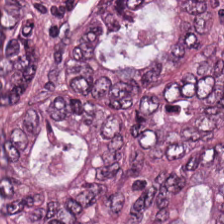Tissue type = tumor epithelium.
